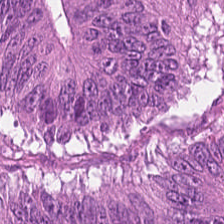Stain: H&E.
Acquisition: WSI patch.
Tissue type: colorectal adenocarcinoma epithelium.
